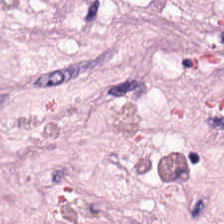Stain: hematoxylin-and-eosin stained section.
Tissue: desmoplastic stroma.
